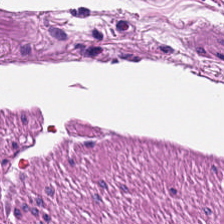H&E stain.
Tissue = muscularis.
